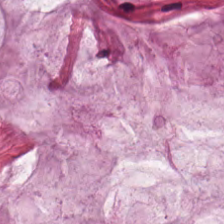20× equivalent magnification; H&E.
Tissue type: extracellular mucin.
